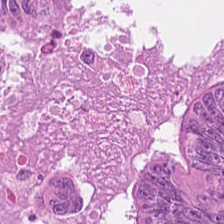WSI patch; 0.5 µm per pixel; H&E.
{"tissue_type": "colorectal adenocarcinoma epithelium"}
